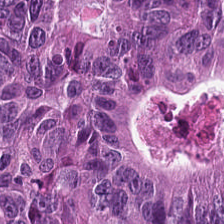H&E stain.
Finding → tumor epithelium.
